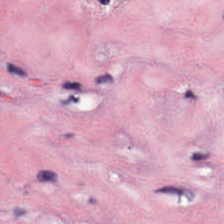Stain: H&E.
Tissue type: tumor-associated stroma.
